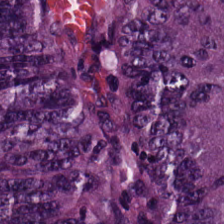H&E. Q: What tissue type is shown here?
A: This is tumor epithelium.
